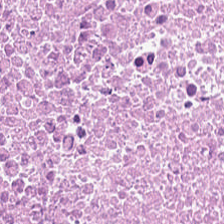Hematoxylin and eosin. {"tissue_type": "debris"}
